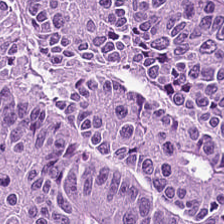H&E-stained tissue section.
The predominant tissue is tumor epithelium.
